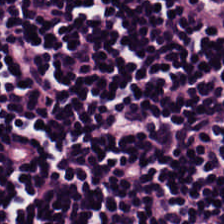Q: Identify the tissue.
A: This is lymphocytes.
